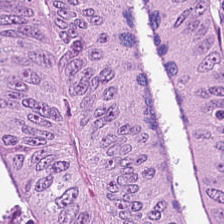Hematoxylin and eosin. Formalin-fixed paraffin-embedded section.
Showing colorectal adenocarcinoma epithelium.
